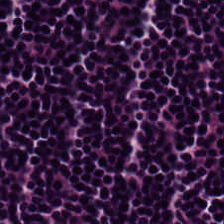Hematoxylin and eosin.
Q: Classify this patch.
A: The field shows lymphoid infiltrate.
